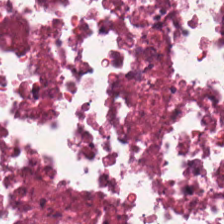H&E.
Tissue type: cellular debris.
